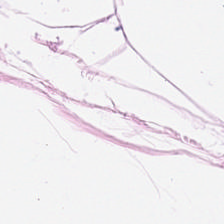0.5 microns per pixel; hematoxylin-and-eosin stained section. Finding → adipose.
